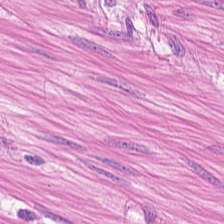H&E stain; whole-slide-image patch.
The tissue type is muscularis.
